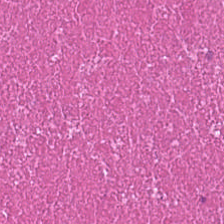H&E stain. The tissue here is cellular debris.
